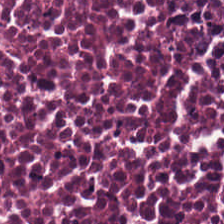20× equivalent magnification; H&E.
Cellular debris.
